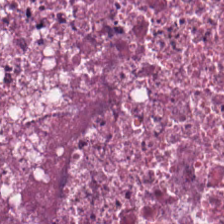Stain: hematoxylin and eosin.
Tissue type: cellular debris.
